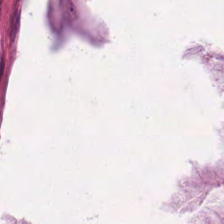Hematoxylin-and-eosin section: mucus.
